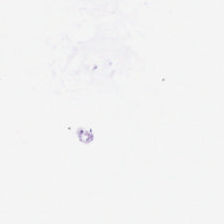FFPE tissue section; H&E-stained tissue section; 0.5 µm per pixel.
Finding — background.
